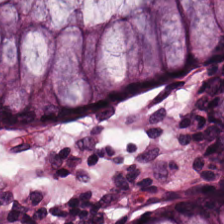0.5 microns per pixel; hematoxylin and eosin. Tissue: normal colonic mucosa.
